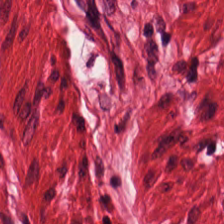Histology → smooth-muscle tissue.
